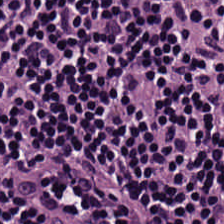Whole-slide-image patch. H&E stain. 0.5 µm/px — Finding → lymphocyte aggregate.
